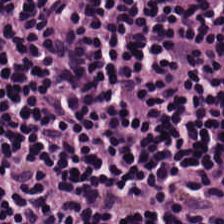H&E stain. Showing lymphocytic infiltrate.
